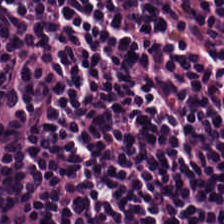H&E stain — Predominantly lymphocyte aggregate.
